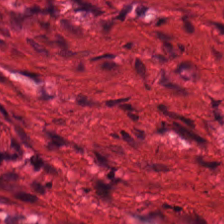FFPE tissue section. Hematoxylin and eosin.
{"tissue_type": "smooth muscle"}
